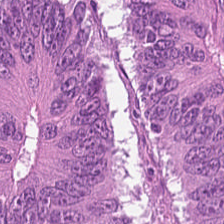Hematoxylin-and-eosin stained section. 0.5 microns per pixel. Tissue — malignant epithelium.
